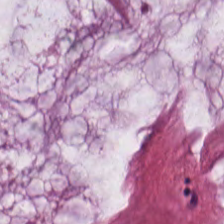Hematoxylin and eosin. This patch shows mucin.
